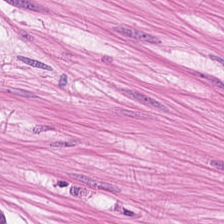Q: What type of tissue is this?
A: The field shows smooth muscle.
